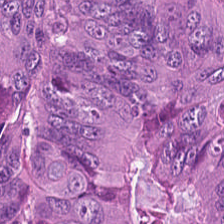H&E-stained tissue section. Q: Identify the tissue.
A: This is colorectal adenocarcinoma.
